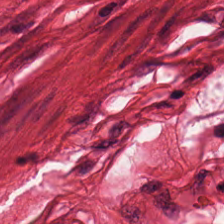WSI patch · H&E-stained tissue section — {"tissue_type": "smooth muscle"}
